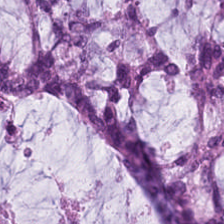Stain: H&E.
Preparation: formalin-fixed paraffin-embedded section.
Tile size: 224×224 px tile.
Classification: mucus.
